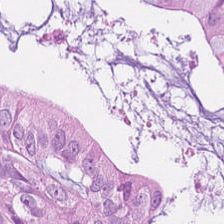H&E-stained tissue section; 0.5 µm per pixel. The tissue here is tumor epithelium.
